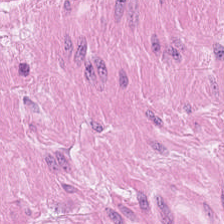224×224 px tile · H&E — Finding → smooth-muscle tissue.
